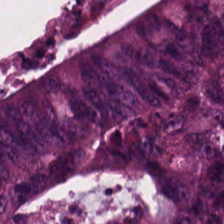H&E stain. The predominant tissue is tumor epithelium.
